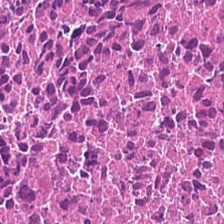H&E-stained tissue section; formalin-fixed paraffin-embedded section.
Tissue type — necrotic debris.
